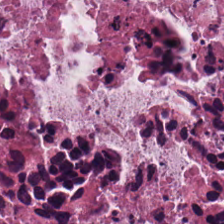Stain: hematoxylin and eosin.
Predominant tissue: debris.
